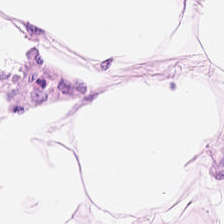H&E stain.
Showing adipocytes.
